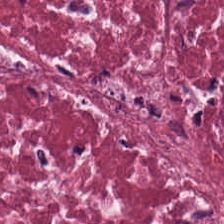Hematoxylin-and-eosin stained section.
This patch shows tumor stroma.
